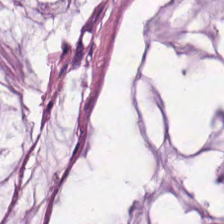H&E-stained tissue section — This field is mucin.
